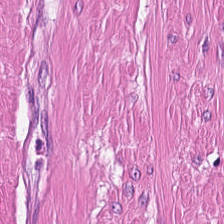Formalin-fixed paraffin-embedded section. 224×224 px patch. Hematoxylin and eosin. Showing muscularis.
